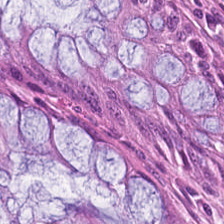Hematoxylin and eosin; FFPE tissue section; 224×224 px patch — Q: What type of tissue is this?
A: The field shows normal colon mucosa.
